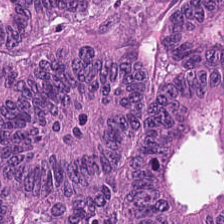Hematoxylin and eosin — Impression — colorectal adenocarcinoma.
